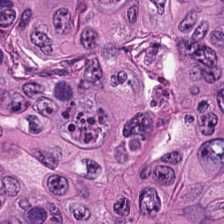FFPE; 224×224 px tile; H&E — Q: Identify the tissue.
A: It is adenocarcinoma.
